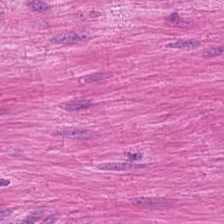H&E-stained tissue section.
Tissue = muscularis.
